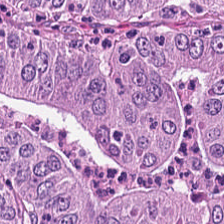Hematoxylin and eosin · 0.5 µm/px · 224×224 pixel tile. Q: Identify the tissue.
A: The field shows adenocarcinoma.
